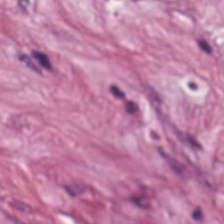Finding → cancer-associated stroma.
